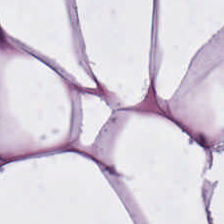H&E-stained tissue section — Q: What tissue is shown?
A: Adipose tissue.
